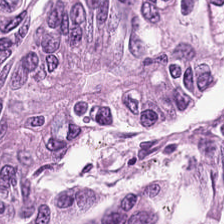Hematoxylin-and-eosin stained section. The predominant tissue is adenocarcinoma.
